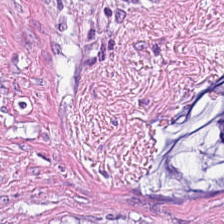0.5 µm per pixel. H&E — The tissue type is cancer-associated stroma.
